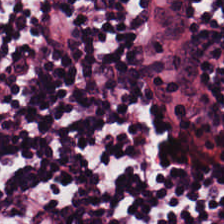Stain: H&E-stained tissue section.
Tissue: lymphocyte aggregate.
